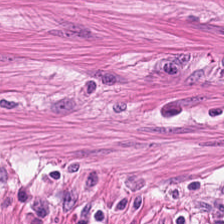H&E stain.
Tissue — smooth-muscle tissue.
